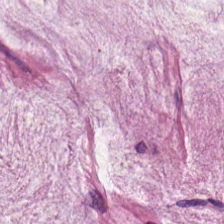H&E. Formalin-fixed paraffin-embedded section. Mucus.
